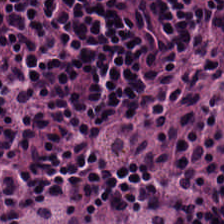The predominant tissue is lymphocytes.
